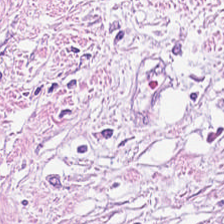Hematoxylin and eosin. Whole-slide-image patch. Formalin-fixed paraffin-embedded section.
This field is desmoplastic stroma.
